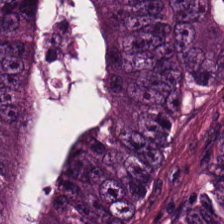H&E · 224×224 px tile.
Q: What is the predominant tissue type?
A: Tumor epithelium.
